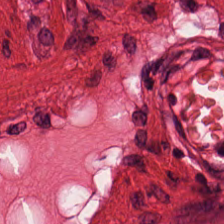H&E-stained tissue section — The predominant tissue is smooth muscle.
